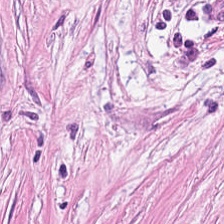H&E stain — Histology → tumor-associated stroma.
